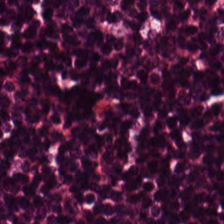20× equivalent magnification · H&E · brightfield.
Lymphocyte aggregate.
